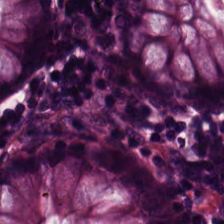Hematoxylin-and-eosin section: normal colon mucosa.
